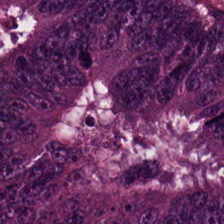H&E-stained tissue section; formalin-fixed paraffin-embedded section.
Predominantly tumor epithelium.
